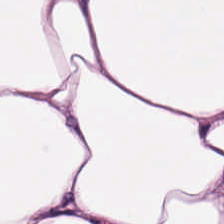Showing adipose.
